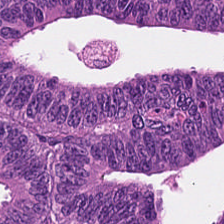224×224 px patch · FFPE tissue section · H&E. Predominant tissue — tumor epithelium.
